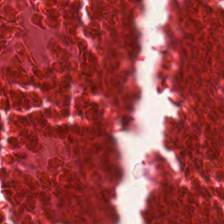Stain: H&E.
Preparation: formalin-fixed paraffin-embedded section.
Tissue: debris.
